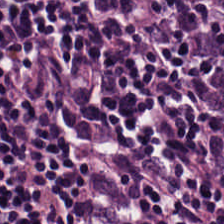Tissue type = lymphocyte aggregate.
